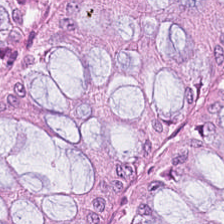H&E.
The tissue is normal colon mucosa.
